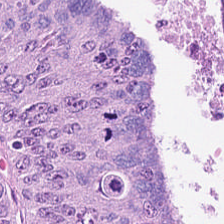Stain: H&E-stained tissue section.
Tile size: 224×224 px patch.
Preparation: FFPE tissue section.
Tissue type: adenocarcinoma.
